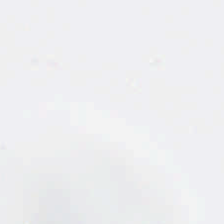Hematoxylin and eosin. {"content": "empty background"}
